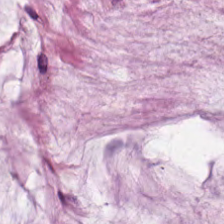Q: What tissue is shown?
A: It is extracellular mucin.
